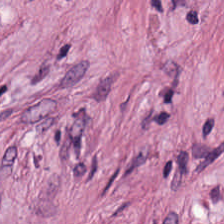Histology → cancer-associated stroma.
